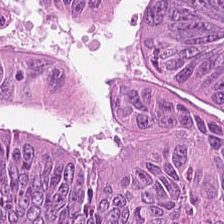Histology — colorectal adenocarcinoma.
